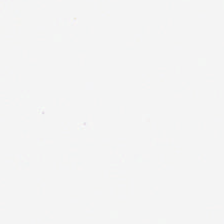Background — no tissue in this field.
